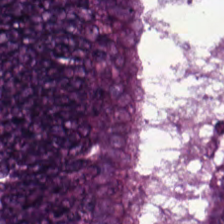The tissue type is adenocarcinoma.
